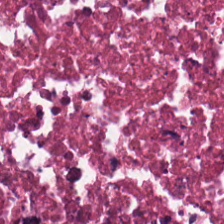H&E stain.
Debris.
